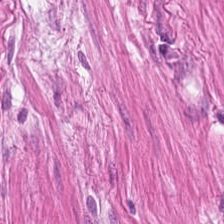Hematoxylin and eosin. Tissue — smooth muscle.
